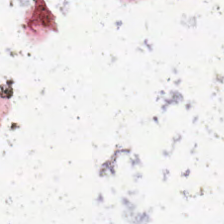H&E stain.
Field content = empty background.
